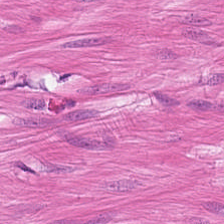Hematoxylin and eosin — Showing smooth-muscle tissue.
